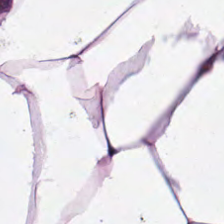Q: What is shown here?
A: The field shows fat tissue.
